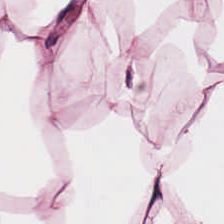Stain: H&E-stained tissue section.
Tissue class: adipocytes.
